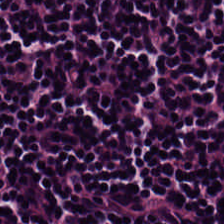H&E stain.
{"tissue_type": "lymphocytes"}
